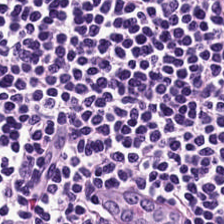H&E — The tissue is lymphoid infiltrate.
